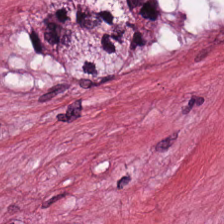Q: What does this patch show?
A: This is tumor stroma.
